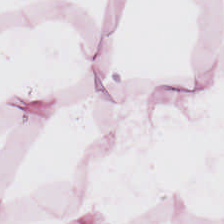Tissue type = adipocytes.
